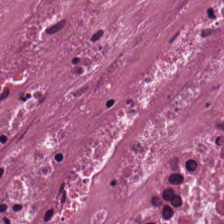Impression → cellular debris.
